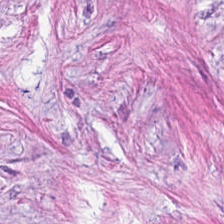Hematoxylin-and-eosin stained section · 224×224 px patch · FFPE tissue section. Predominantly desmoplastic stroma.
